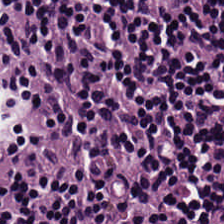{"tissue_type": "lymphocytes"}
